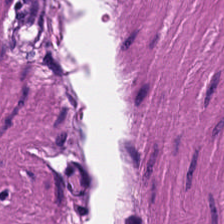Hematoxylin-and-eosin stained section · 224×224 px tile · brightfield.
The predominant tissue is smooth muscle.
